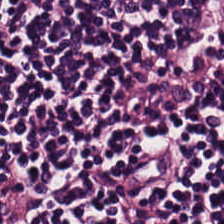224×224 px tile; H&E. {"tissue_type": "lymphoid infiltrate"}
